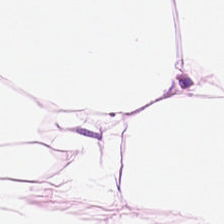The tissue here is adipocytes.
